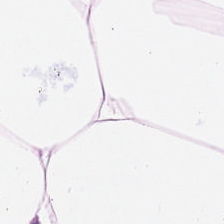FFPE tissue section. H&E stain. Classification: adipocytes.
